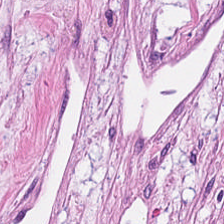H&E patch showing tumor-associated stroma.
